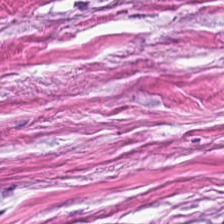224×224 px patch · 0.5 microns per pixel · H&E stain.
Q: What does this patch show?
A: The field shows cancer-associated stroma.
